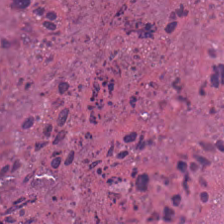Hematoxylin-and-eosin stained section.
The classification is cellular debris.
